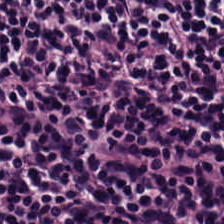H&E stain. FFPE tissue section — Histology — lymphocytic infiltrate.
